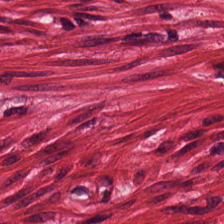Brightfield microscopy · 224×224 px patch · H&E stain.
This patch shows muscularis.
